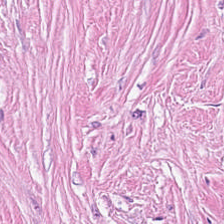H&E-stained tissue section. This field is desmoplastic stroma.
